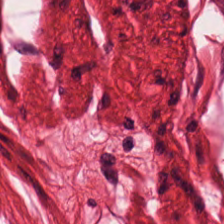Stain: H&E.
Tissue: muscularis.
